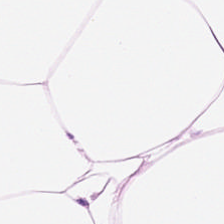H&E-stained tissue section; brightfield microscopy. Predominantly adipose.
